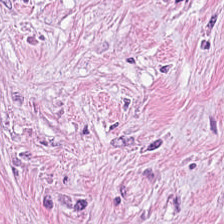0.5 microns per pixel; H&E stain; brightfield.
The predominant tissue is tumor stroma.
